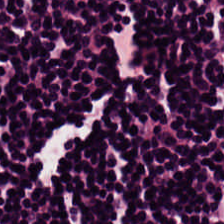H&E — Q: What is shown in this field?
A: Lymphoid infiltrate.
